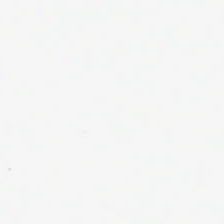Hematoxylin and eosin — Q: What is shown in this field?
A: This is background.
